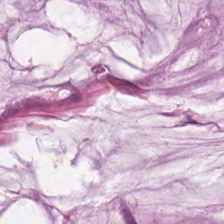Hematoxylin and eosin.
Q: Classify this patch.
A: Mucus.
